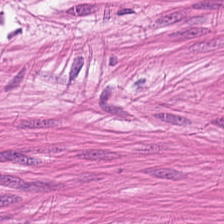Q: What is shown here?
A: The field shows smooth-muscle tissue.
